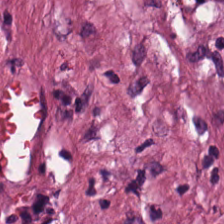Hematoxylin-and-eosin stained section. Showing debris.
